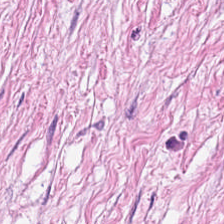Hematoxylin-and-eosin stained section — Classification: tumor-associated stroma.
